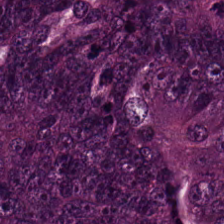224×224 px tile. Hematoxylin-and-eosin stained section.
This patch shows tumor epithelium.
